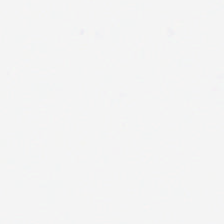Q: What is shown in this field?
A: The field shows background (no tissue).
